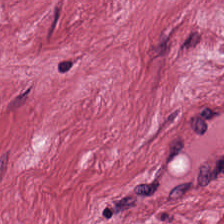Hematoxylin and eosin. The tissue here is desmoplastic stroma.
